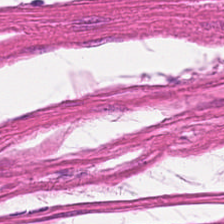H&E stain — This field is smooth-muscle tissue.
